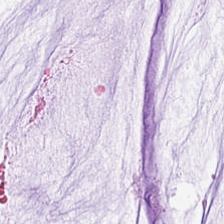H&E patch showing extracellular mucin.
